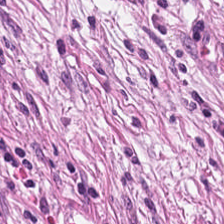The tissue here is cancer-associated stroma.
